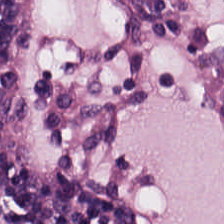Predominant tissue — lymphocytic infiltrate.
